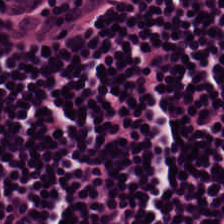224×224 px patch · hematoxylin and eosin. Tissue — lymphocytes.
